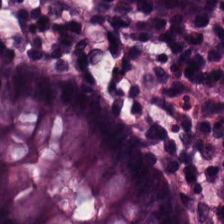H&E. The tissue type is benign colonic mucosa.
